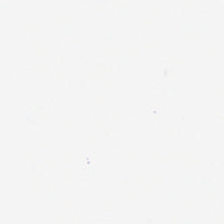This patch shows background.
